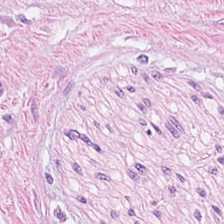H&E stain — Tissue = tumor stroma.
